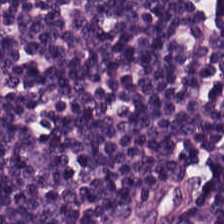Stain: H&E.
Preparation: FFPE.
Tissue class: lymphocytes.
